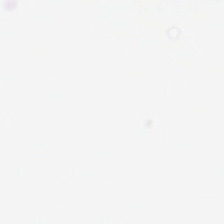Background — no tissue in this field.
